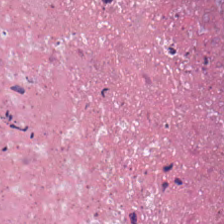FFPE tissue section; H&E.
Impression → necrotic debris.
